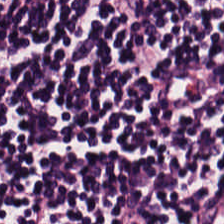Q: Classify this patch.
A: The field shows lymphocytes.
